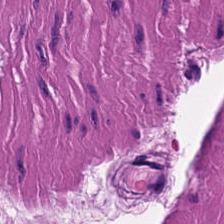H&E stain — Tissue = smooth muscle.
